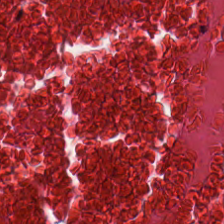Hematoxylin-and-eosin stained section. FFPE tissue section. Whole-slide-image patch — This field is debris.
